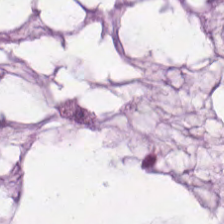Stain: H&E.
Preparation: formalin-fixed paraffin-embedded section.
Tissue type: mucin.
